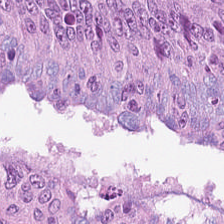H&E — Predominantly tumor epithelium.
